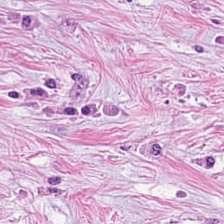Hematoxylin-and-eosin stained section. The tissue here is tumor-associated stroma.
